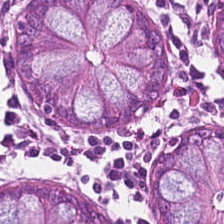Formalin-fixed paraffin-embedded section; H&E.
Q: Identify the tissue.
A: Benign colonic mucosa.
